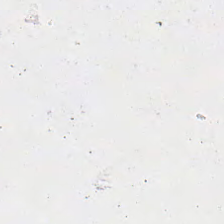Stain: H&E.
Resolution: 0.5 µm per pixel.
Tile size: 224×224 px patch.
Content: background (no tissue).
